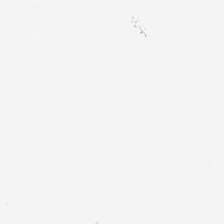Hematoxylin-and-eosin stained section; formalin-fixed paraffin-embedded section. Finding — background (no tissue).
